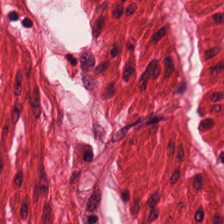Hematoxylin-and-eosin stained section — The tissue here is smooth muscle.
